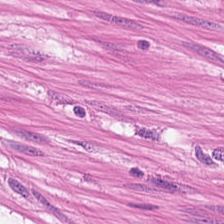Hematoxylin and eosin.
This field is smooth-muscle tissue.
